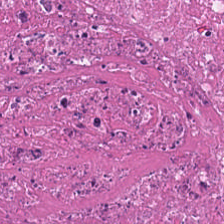20× equivalent magnification. H&E. Brightfield — Histology — debris.
